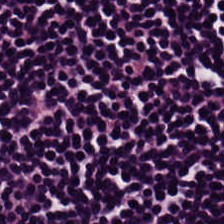Stain: hematoxylin-and-eosin stained section.
Tile size: 224×224 px tile.
Acquisition: brightfield.
Tissue type: lymphocytic infiltrate.
